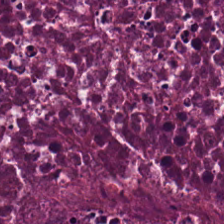Stain: H&E.
Predominant tissue: necrotic debris.
